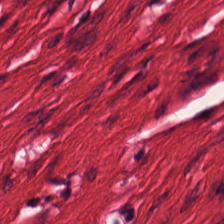Hematoxylin-and-eosin stained section — Q: Classify this patch.
A: The field shows muscularis.
